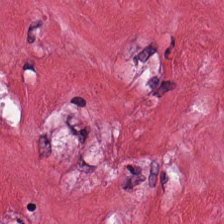Hematoxylin and eosin — Tissue class: tumor-associated stroma.
